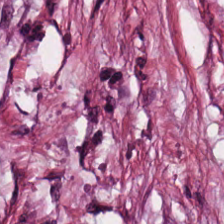{"tissue_type": "tumor-associated stroma"}
